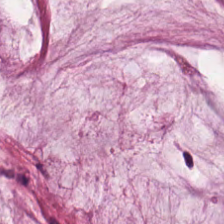Hematoxylin-and-eosin stained section.
Predominant tissue = mucin.
